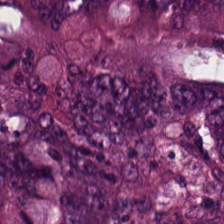H&E stain · brightfield microscopy. The predominant tissue is tumor epithelium.
